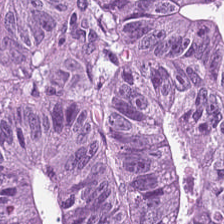Hematoxylin-and-eosin stained section — This patch shows colorectal adenocarcinoma epithelium.
